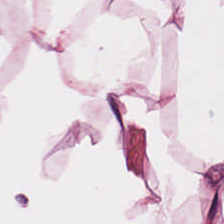Stain: hematoxylin-and-eosin stained section.
Tissue type: adipose.
